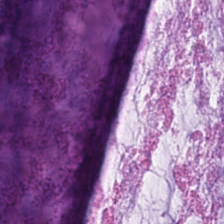Q: What type of tissue is this?
A: It is mucin.
